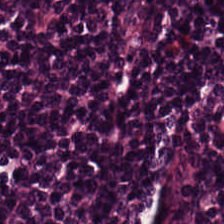224×224 pixel tile · H&E-stained tissue section. Lymphoid infiltrate.
